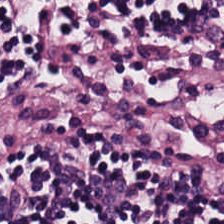Q: Classify this patch.
A: This is lymphocytic infiltrate.
